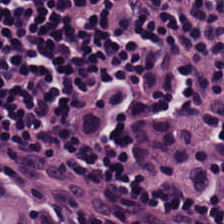Hematoxylin and eosin; FFPE. Predominant tissue = lymphocytes.
